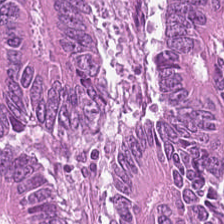Hematoxylin-and-eosin stained section. The predominant tissue is colorectal adenocarcinoma.
